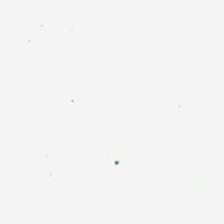H&E stain.
Background.
